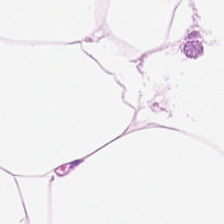Adipocytes.
